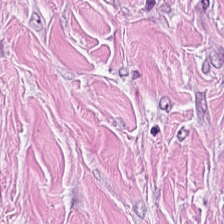The predominant tissue is tumor-associated stroma.
